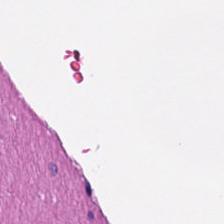Predominant tissue = muscularis.
